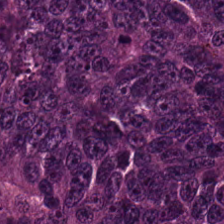Stain: H&E stain.
Tile size: 224×224 px patch.
Tissue type: adenocarcinoma.
